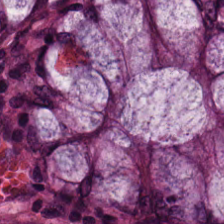Hematoxylin-and-eosin stained section. Q: What is the predominant tissue type?
A: This is benign colonic mucosa.
